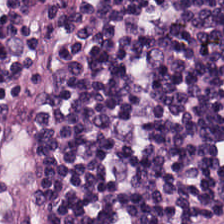Stain: hematoxylin and eosin.
Tile size: 224×224 px patch.
Tissue type: lymphocytes.
